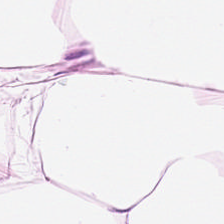The tissue type is adipose tissue.
